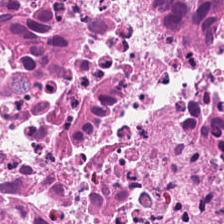Tissue — cellular debris.
